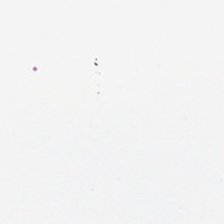Q: What is shown in this field?
A: The field shows background (no tissue).
